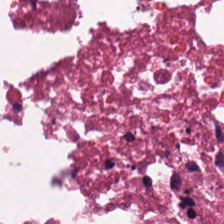The tissue type is debris.
